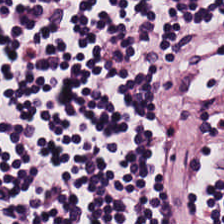Hematoxylin and eosin. Showing lymphocytes.
